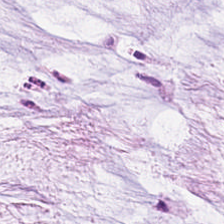Hematoxylin and eosin. 224×224 px patch — The predominant tissue is mucus.
